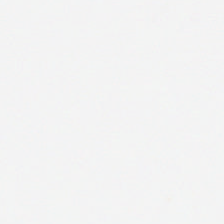H&E · formalin-fixed paraffin-embedded section. The content is no tissue.
